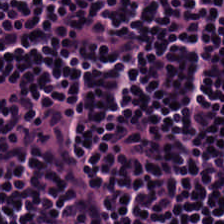Formalin-fixed paraffin-embedded section · 224×224 px patch · H&E — Lymphocytes.
